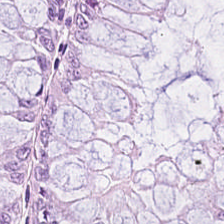H&E-stained tissue section; FFPE tissue section. Non-neoplastic colon mucosa.
